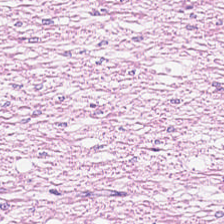Hematoxylin-and-eosin stained section. This patch shows smooth-muscle tissue.
